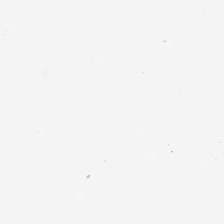H&E stain.
Classification: empty background.
